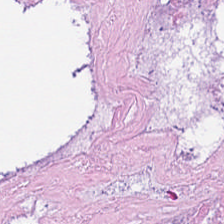{"tissue_type": "necrotic debris"}
